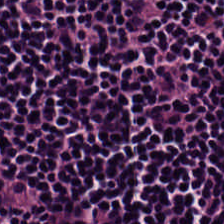H&E stain; 224×224 px tile — Classification = lymphocytes.
